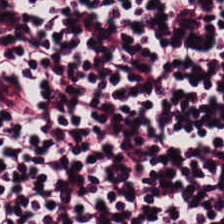H&E stain — {"tissue_type": "lymphoid infiltrate"}
